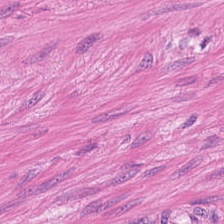Histology → smooth-muscle tissue.
